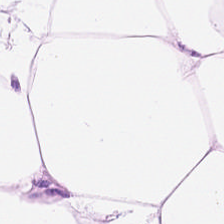Hematoxylin-and-eosin stained section — This patch shows adipose tissue.
